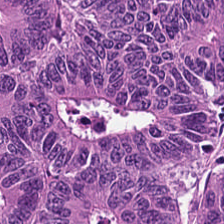FFPE tissue section · hematoxylin and eosin — Predominantly adenocarcinoma.
